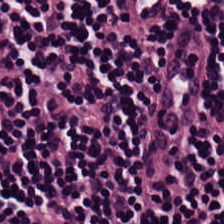Hematoxylin and eosin; brightfield — The predominant tissue is lymphoid infiltrate.
